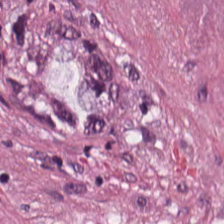Hematoxylin-and-eosin stained section.
Finding → tumor stroma.
